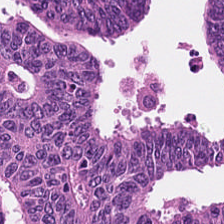Hematoxylin-and-eosin stained section. Q: What is the predominant tissue type?
A: This is colorectal adenocarcinoma epithelium.
